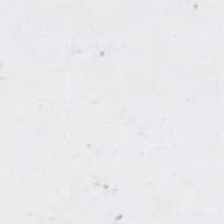Hematoxylin-and-eosin stained section. Brightfield microscopy.
This patch shows background.
